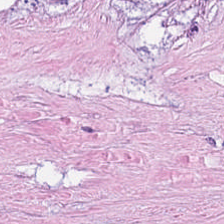0.5 µm/px · H&E stain — The tissue here is debris.
